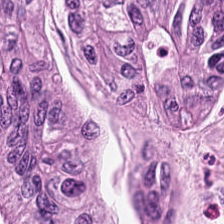Hematoxylin and eosin.
The predominant tissue is colorectal adenocarcinoma.
